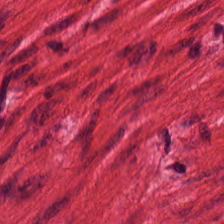H&E stain; brightfield; 224×224 px tile. Tissue — muscularis.
